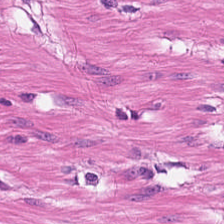H&E stain. Q: What is shown here?
A: The field shows muscularis.
